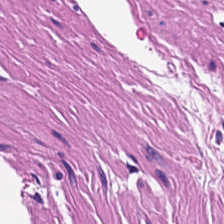H&E-stained tissue section; FFPE tissue section; whole-slide-image patch. The predominant tissue is smooth muscle.
